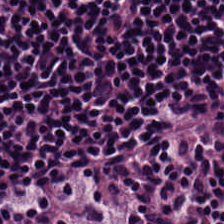H&E-stained tissue section — Q: What does this patch show?
A: The field shows lymphocyte aggregate.
